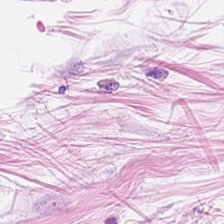224×224 pixel tile · hematoxylin-and-eosin stained section · 0.5 µm/px — This patch shows adipose.
